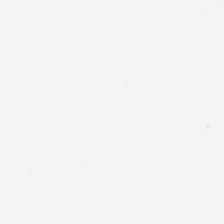Hematoxylin and eosin. FFPE tissue section.
{"content": "background (no tissue)"}
